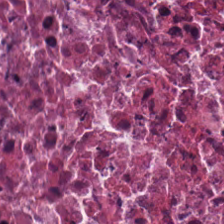H&E — debris.
